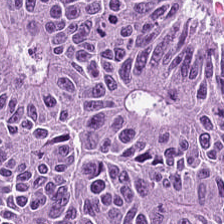Brightfield. H&E-stained tissue section — The tissue is malignant epithelium.
